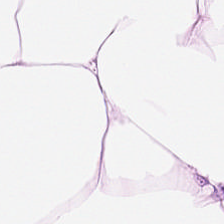Hematoxylin-and-eosin section: adipose tissue.
